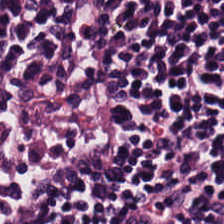Hematoxylin-and-eosin stained section · FFPE · 224×224 px tile. This patch shows lymphocyte aggregate.
